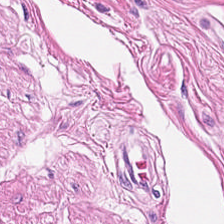Hematoxylin and eosin · 0.5 µm/px · brightfield microscopy. Q: What tissue is shown?
A: It is smooth-muscle tissue.
